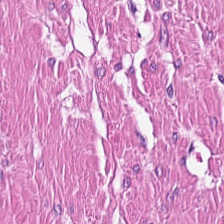H&E-stained tissue section; 0.5 µm/px.
Smooth-muscle tissue.
